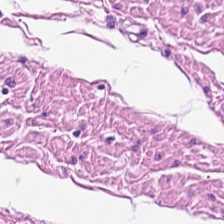Hematoxylin and eosin; whole-slide-image patch — This patch shows smooth-muscle tissue.
